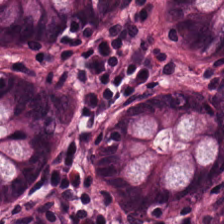H&E-stained tissue section.
Tissue — normal colonic mucosa.
